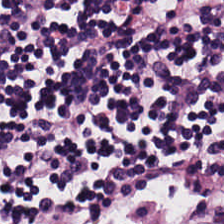Histology → lymphocytic infiltrate.
